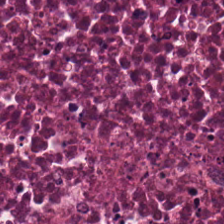Brightfield microscopy · 224×224 pixel tile · hematoxylin and eosin — Impression — debris.
